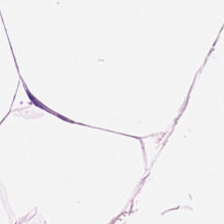Tissue: fat tissue.
